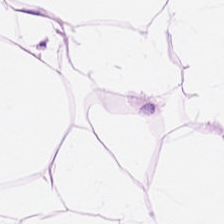Q: Classify this patch.
A: This is adipose.
